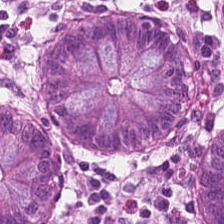Tissue type: benign colonic mucosa.
